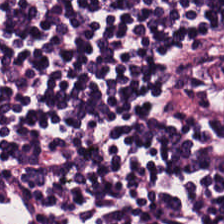Lymphocytes.
